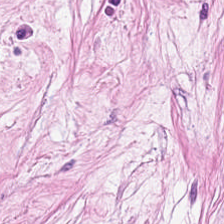Hematoxylin-and-eosin stained section.
Predominantly tumor stroma.
